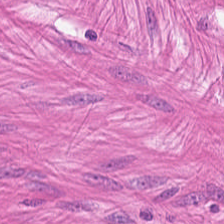Hematoxylin-and-eosin stained section · 0.5 µm per pixel. The tissue type is muscularis.
